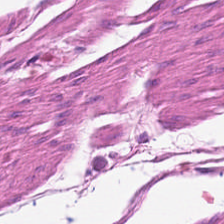H&E-stained tissue section.
Tissue = smooth-muscle tissue.
